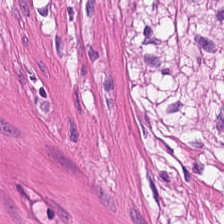H&E.
Predominantly muscularis.
